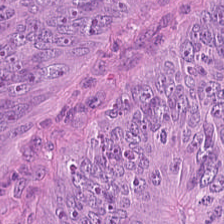FFPE tissue section; brightfield microscopy; hematoxylin-and-eosin stained section — Impression → adenocarcinoma.
